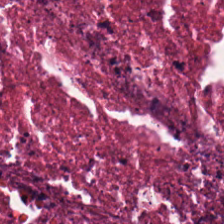Hematoxylin and eosin. 224×224 px patch. 0.5 µm/px — Predominant tissue: cellular debris.
